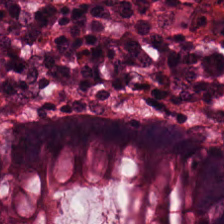H&E-stained tissue section.
Q: What is the predominant tissue type?
A: This is benign colonic mucosa.
